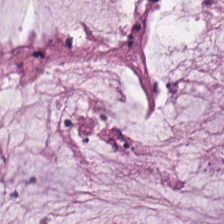H&E-stained tissue section. 224×224 px patch — The predominant tissue is mucin.
